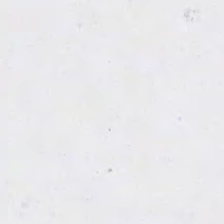H&E stain. 0.5 microns per pixel.
Impression — background (no tissue).
